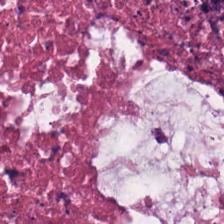20× equivalent magnification; hematoxylin and eosin — Q: What tissue is shown?
A: This is cellular debris.
